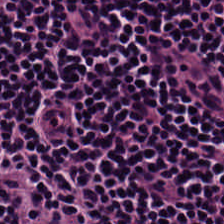H&E. Classification: lymphocyte aggregate.
